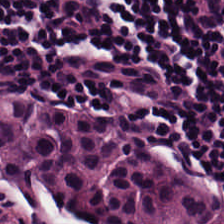0.5 µm per pixel. H&E. 224×224 pixel tile — The classification is lymphocytes.
